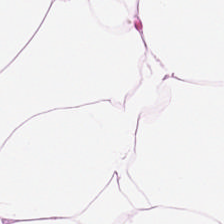Stain: H&E stain.
Preparation: formalin-fixed paraffin-embedded section.
Acquisition: brightfield.
Tissue type: adipocytes.
